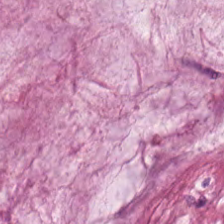224×224 pixel tile. Hematoxylin and eosin. Impression — extracellular mucin.
